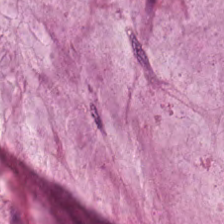Q: What type of tissue is this?
A: It is mucin.
